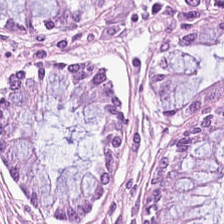H&E · WSI patch.
The tissue type is normal colonic mucosa.
